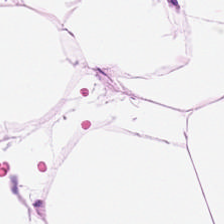H&E-stained tissue section showing adipose.
